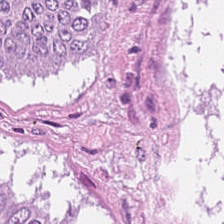H&E — tumor epithelium.
